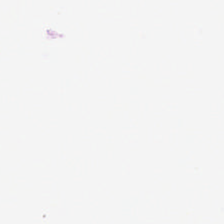Brightfield microscopy. FFPE. Hematoxylin and eosin. Empty background.
